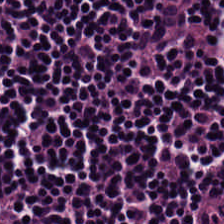Brightfield · H&E-stained tissue section.
Tissue — lymphoid infiltrate.
